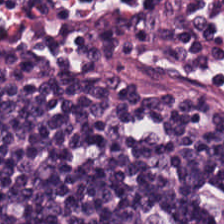H&E stain — The predominant tissue is lymphocytic infiltrate.
